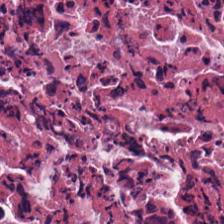Stain: hematoxylin-and-eosin stained section.
Tile size: 224×224 px tile.
Acquisition: whole-slide-image patch.
Classification: necrotic debris.
